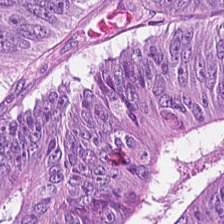The tissue class is malignant epithelium.
